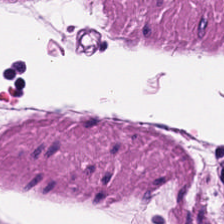Hematoxylin and eosin.
The tissue is smooth muscle.
